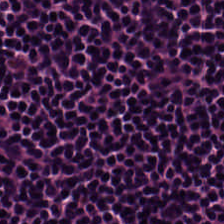H&E-stained tissue section; 224×224 pixel tile; 0.5 microns per pixel — Tissue — lymphocyte aggregate.
